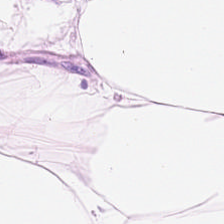H&E; 224×224 px tile; WSI patch. Predominantly fat tissue.
